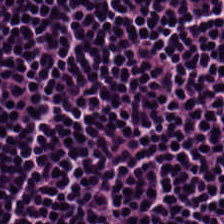H&E patch showing lymphocytes.
